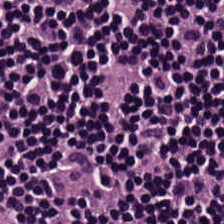Hematoxylin and eosin.
Finding → lymphocytes.
